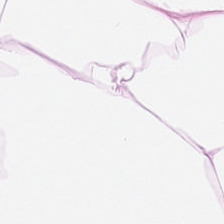Hematoxylin and eosin — Tissue type: fat tissue.
